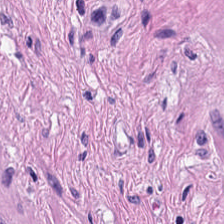Stain: H&E.
Tissue class: smooth muscle.
